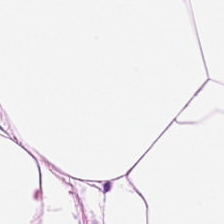H&E. Showing fat tissue.
